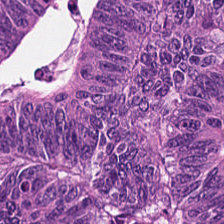Stain: hematoxylin-and-eosin stained section.
Resolution: 20× equivalent magnification.
Classification: adenocarcinoma.
